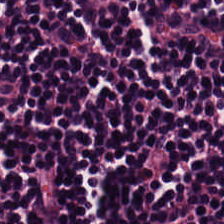Hematoxylin-and-eosin stained section.
Impression — lymphocyte aggregate.
